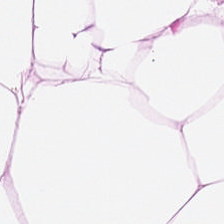Hematoxylin-and-eosin stained section. Adipose tissue.
